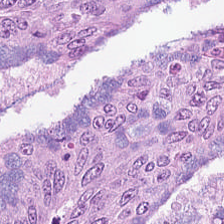Hematoxylin-and-eosin stained section. Tissue class = adenocarcinoma.
